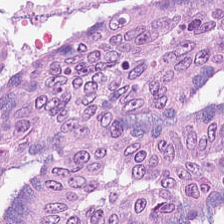Hematoxylin and eosin; 20× equivalent magnification; 224×224 px tile — Tissue class = malignant epithelium.
